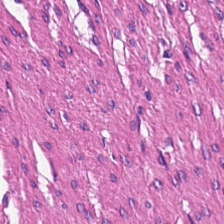Histology — muscularis.
